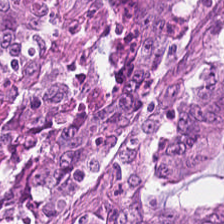Formalin-fixed paraffin-embedded section · hematoxylin-and-eosin stained section. This patch shows colorectal adenocarcinoma.
